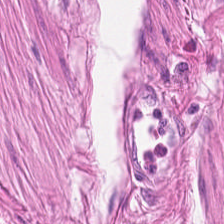H&E. 224×224 px patch. FFPE.
Smooth-muscle tissue.
